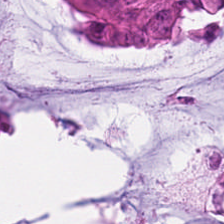H&E; formalin-fixed paraffin-embedded section. Classification: colorectal adenocarcinoma epithelium.
